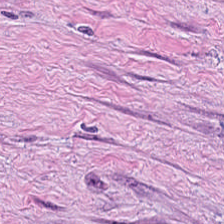The tissue class is tumor-associated stroma.
